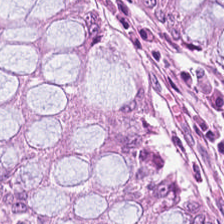H&E stain. Predominant tissue — non-neoplastic colon mucosa.
